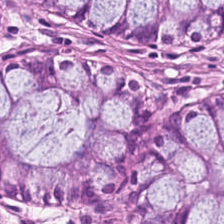H&E. 0.5 µm/px.
{"tissue_type": "benign colonic mucosa"}
